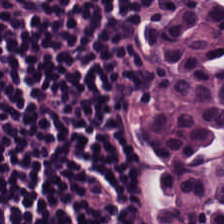Q: What is the predominant tissue type?
A: Lymphocytic infiltrate.
